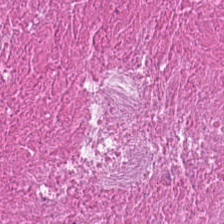Hematoxylin-and-eosin stained section.
Tissue type = debris.
